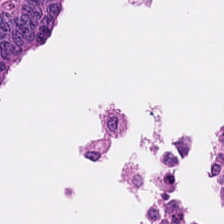WSI patch; H&E.
Q: What type of tissue is this?
A: This is colorectal adenocarcinoma epithelium.
